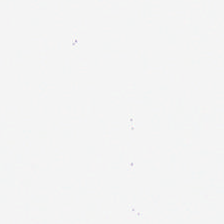H&E stain.
Empty field — empty background.
